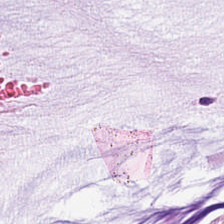Classification: extracellular mucin.
